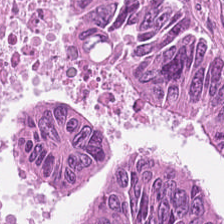H&E · FFPE tissue section.
The tissue here is adenocarcinoma.
